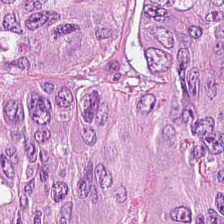{"tissue_type": "malignant epithelium"}
